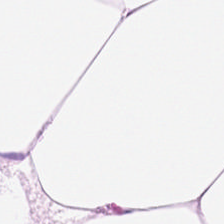Formalin-fixed paraffin-embedded section; 224×224 pixel tile; H&E stain — Predominant tissue: adipose tissue.
